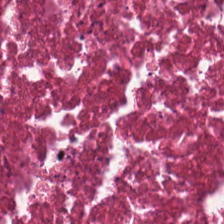224×224 px tile. FFPE tissue section. H&E — Showing debris.
